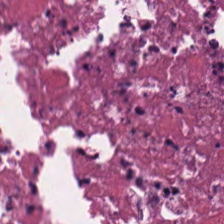Hematoxylin-and-eosin stained section. 0.5 µm per pixel. Tissue = necrotic debris.
